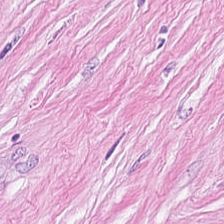H&E stain; 224×224 px patch; whole-slide-image patch — {"tissue_type": "desmoplastic stroma"}
